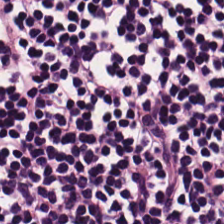WSI patch · hematoxylin and eosin · formalin-fixed paraffin-embedded section.
The predominant tissue is lymphocyte aggregate.
